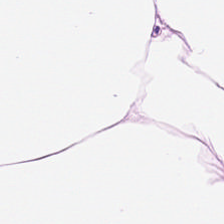H&E stain — Predominantly fat tissue.
